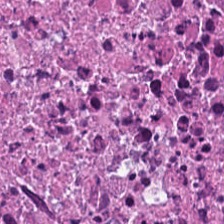Impression → necrotic debris.
